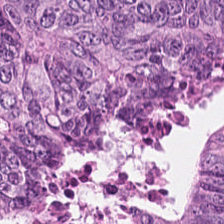Tissue type: colorectal adenocarcinoma.
